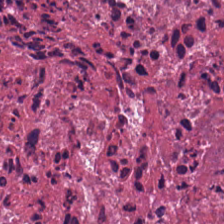224×224 px patch · hematoxylin-and-eosin stained section — {"tissue_type": "debris"}
